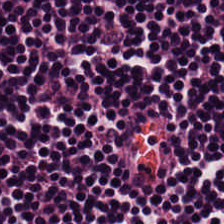Predominant tissue: lymphocyte aggregate.
